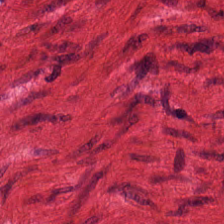H&E-stained tissue section — This patch shows smooth muscle.
